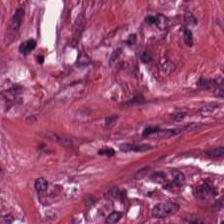H&E.
Predominant tissue = tumor-associated stroma.
